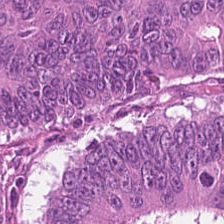Tissue — tumor epithelium.
